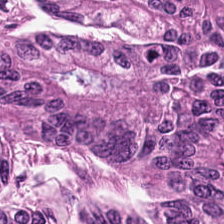Hematoxylin-and-eosin stained section.
Q: What is shown in this field?
A: The field shows colorectal adenocarcinoma.
